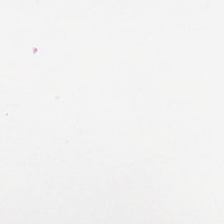Hematoxylin-and-eosin stained section. This field is background (no tissue).
